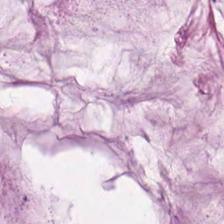H&E-stained tissue section showing mucus.
